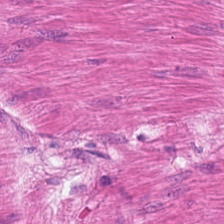Tissue type = smooth muscle.
